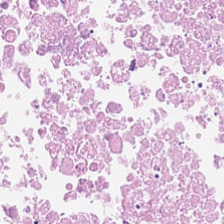H&E-stained tissue section. Debris.
